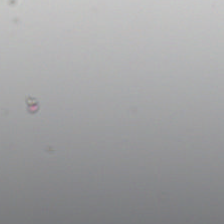Q: What is shown in this field?
A: The field shows empty background.
